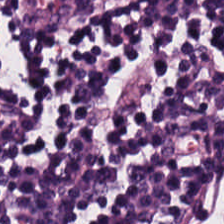H&E stain; 224×224 px patch. Q: What type of tissue is this?
A: It is lymphocytes.
